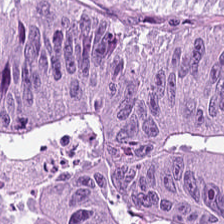224×224 px patch. Hematoxylin-and-eosin stained section. Predominant tissue = colorectal adenocarcinoma epithelium.
